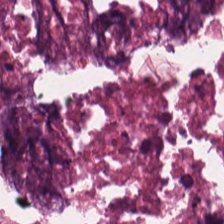H&E — {"tissue_type": "necrotic debris"}
